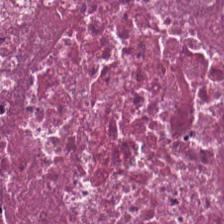Predominantly debris.
